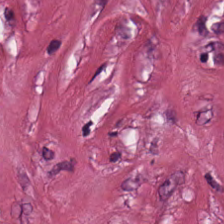Tissue class: desmoplastic stroma.
